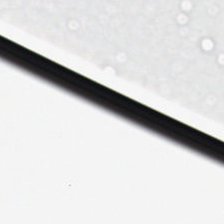0.5 microns per pixel; hematoxylin and eosin.
Q: What does this patch show?
A: The field shows background (no tissue).
